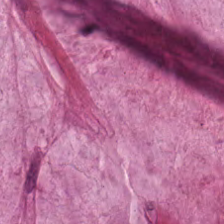The tissue here is extracellular mucin.
